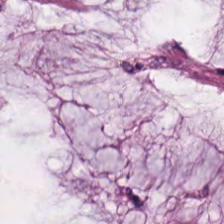H&E.
Tissue: mucus.
